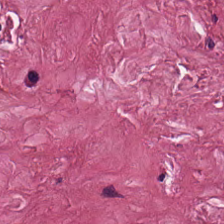WSI patch. Hematoxylin and eosin.
The predominant tissue is tumor-associated stroma.
